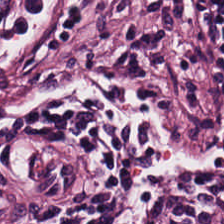Hematoxylin-and-eosin section: lymphoid infiltrate.
